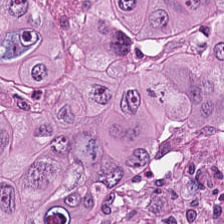H&E stain — This field is adenocarcinoma.
